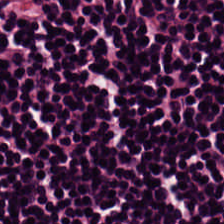Stain: hematoxylin and eosin.
Preparation: FFPE.
Tile size: 224×224 px tile.
Tissue: lymphoid infiltrate.
